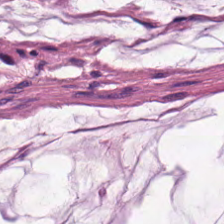Stain: H&E.
Acquisition: WSI patch.
Tissue: mucin.
